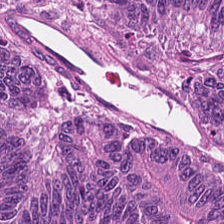Stain: H&E stain.
Tissue: colorectal adenocarcinoma.
